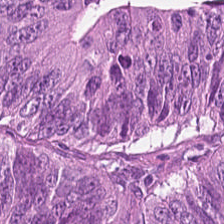The classification is tumor epithelium.
